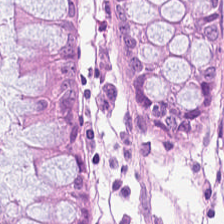Formalin-fixed paraffin-embedded section; WSI patch; hematoxylin and eosin — Predominantly non-neoplastic colon mucosa.
